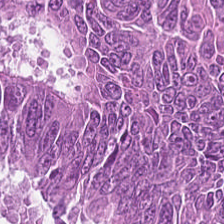Whole-slide-image patch; H&E; 0.5 µm/px. Q: What tissue is shown?
A: This is colorectal adenocarcinoma epithelium.
